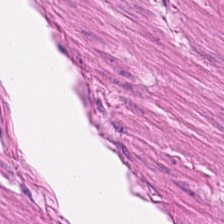H&E stain; FFPE tissue section; whole-slide-image patch. Q: What tissue type is shown here?
A: Muscularis.
